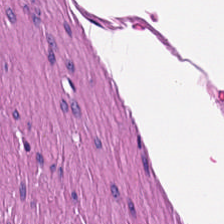Finding → muscularis.
